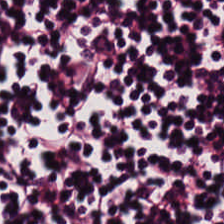Showing lymphocyte aggregate.
